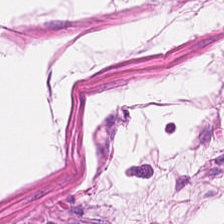H&E stain. This patch shows smooth muscle.
